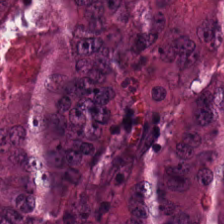Hematoxylin and eosin. 224×224 px tile.
Histology → adenocarcinoma.
